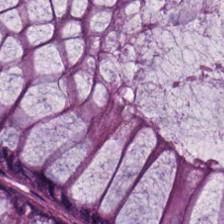Hematoxylin and eosin; 20× equivalent magnification.
This field is normal colon mucosa.
